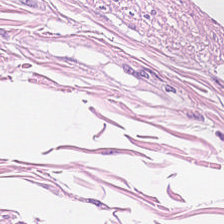Hematoxylin-and-eosin stained section. The tissue type is smooth-muscle tissue.
